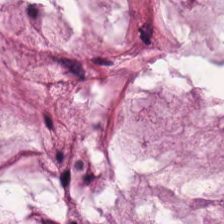H&E.
The tissue here is extracellular mucin.
